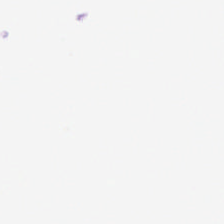H&E · brightfield — Q: What does this patch show?
A: It is no tissue.
